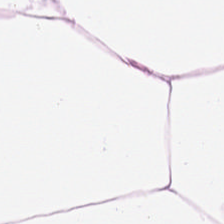224×224 px patch · H&E-stained tissue section — Q: What is the predominant tissue type?
A: This is fat tissue.
